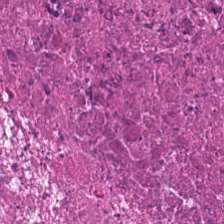Predominantly cellular debris.
